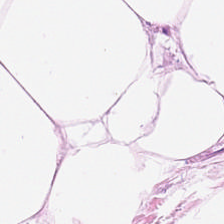Hematoxylin-and-eosin stained section; 0.5 microns per pixel; 224×224 px patch. This patch shows adipose tissue.
